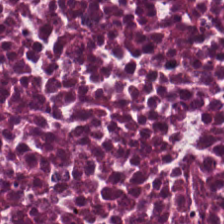Hematoxylin-and-eosin stained section.
Q: What is shown here?
A: The field shows debris.
